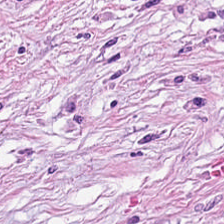Formalin-fixed paraffin-embedded section. H&E stain.
The predominant tissue is tumor stroma.
